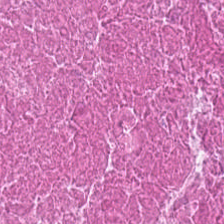Hematoxylin and eosin. The predominant tissue is debris.
